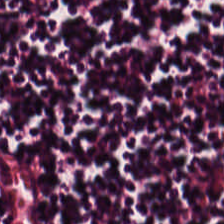Stain: hematoxylin-and-eosin stained section.
Tile size: 224×224 px patch.
Resolution: 0.5 µm/px.
Tissue type: lymphocytic infiltrate.
